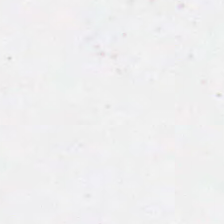This patch shows background.
